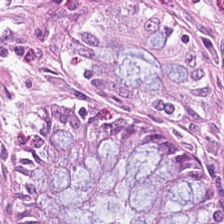Stain: H&E-stained tissue section.
Tile size: 224×224 px tile.
Predominant tissue: normal colonic mucosa.
